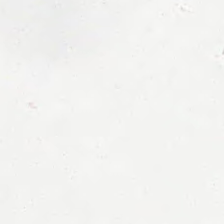Classification: background (no tissue).
